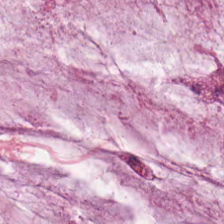Tissue — mucus.
